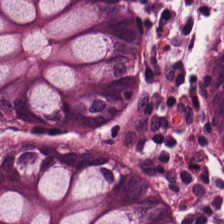WSI patch. H&E-stained tissue section. Q: What tissue is shown?
A: This is normal colonic mucosa.
